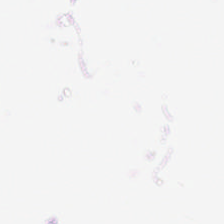H&E-stained tissue section.
No tissue present; background only.
